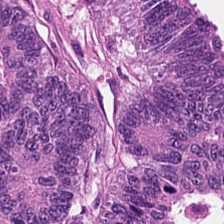FFPE tissue section. H&E.
This field is adenocarcinoma.
